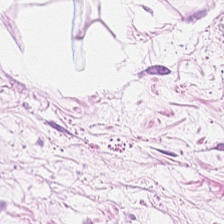H&E stain — Adipose.
